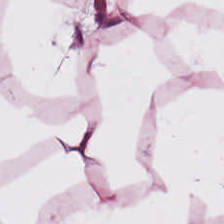H&E-stained tissue section. Tissue type = fat tissue.
